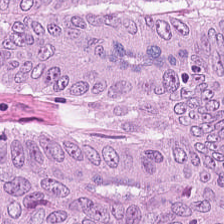H&E-stained tissue section — Showing colorectal adenocarcinoma.
